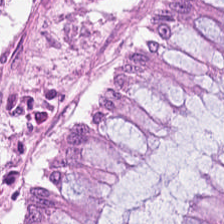Q: Classify this patch.
A: It is benign colonic mucosa.
